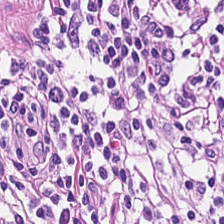Hematoxylin-and-eosin stained section; FFPE.
{"tissue_type": "lymphocyte aggregate"}
